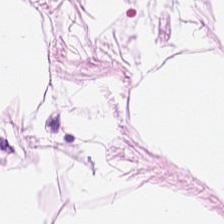Formalin-fixed paraffin-embedded section. Hematoxylin and eosin.
Q: Identify the tissue.
A: This is fat tissue.
